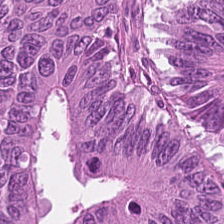20× equivalent magnification. FFPE. Hematoxylin-and-eosin stained section — Q: What is shown in this field?
A: The field shows adenocarcinoma.
